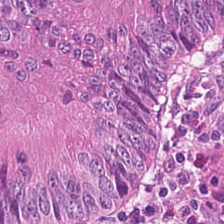224×224 px patch. Hematoxylin and eosin. 0.5 µm per pixel. Predominant tissue = malignant epithelium.
